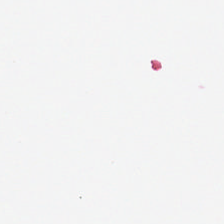Empty field — no tissue.
